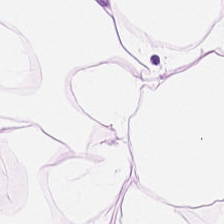H&E-stained tissue section. Classification = adipocytes.
